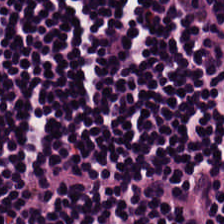Hematoxylin and eosin — Q: What type of tissue is this?
A: It is lymphocyte aggregate.
